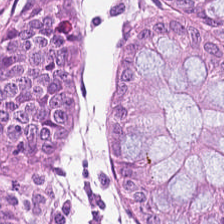Q: Classify this patch.
A: The field shows benign colonic mucosa.
